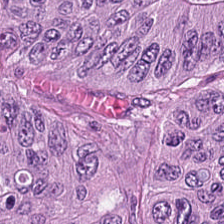Q: What does this patch show?
A: It is adenocarcinoma.
